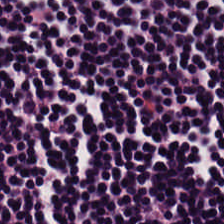224×224 px patch. H&E-stained tissue section.
This patch shows lymphocytic infiltrate.
